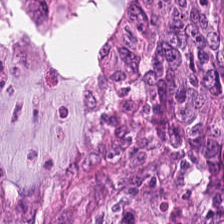Predominant tissue: tumor epithelium.
